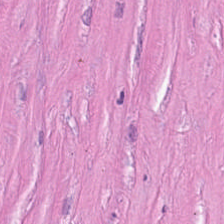H&E stain.
Q: What tissue type is shown here?
A: It is tumor-associated stroma.
